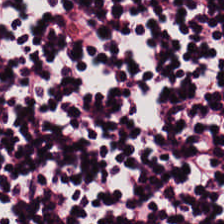Histology — lymphoid infiltrate.
